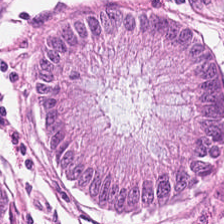H&E-stained tissue section; FFPE tissue section — This field is normal colonic mucosa.
